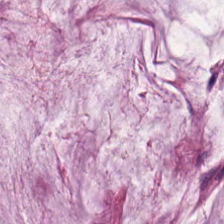Hematoxylin and eosin — Tissue type = mucin.
